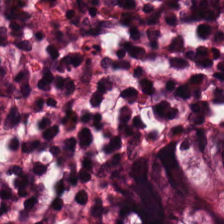H&E stain. 224×224 pixel tile — The predominant tissue is normal colon mucosa.
